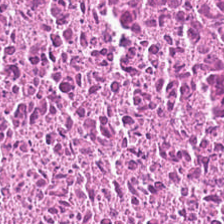Impression → cellular debris.
